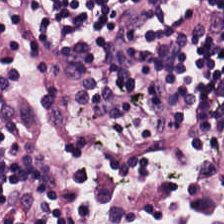20× equivalent magnification · hematoxylin-and-eosin stained section.
Tissue class — lymphocytes.
